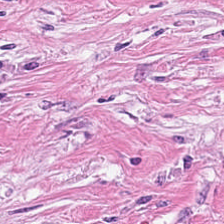Hematoxylin-and-eosin stained section — The predominant tissue is tumor stroma.
